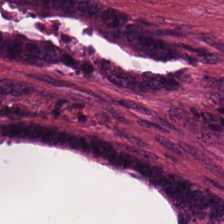WSI patch · 224×224 px patch · hematoxylin and eosin. The predominant tissue is adenocarcinoma.
